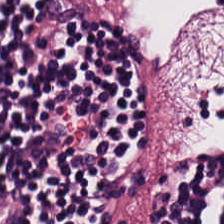Stain: H&E stain.
Resolution: 0.5 µm per pixel.
Predominant tissue: lymphoid infiltrate.
